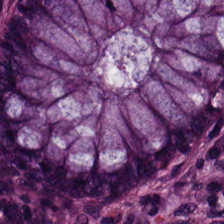Whole-slide-image patch. H&E-stained tissue section. Q: What tissue type is shown here?
A: It is benign colonic mucosa.
